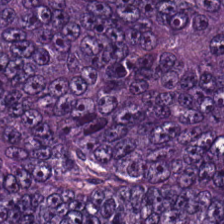Hematoxylin-and-eosin stained section. Q: What is shown here?
A: It is malignant epithelium.
